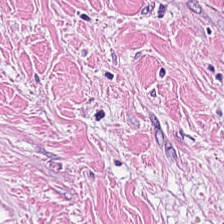Stain: H&E-stained tissue section.
Resolution: 0.5 microns per pixel.
Tissue: tumor-associated stroma.
